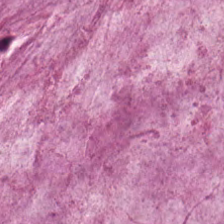Hematoxylin and eosin.
Q: What is shown here?
A: This is extracellular mucin.
